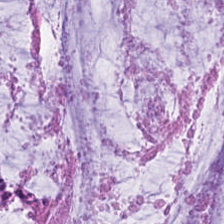0.5 microns per pixel; 224×224 pixel tile; H&E-stained tissue section. Tissue type — extracellular mucin.
